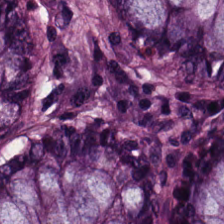H&E stain. Formalin-fixed paraffin-embedded section.
Showing normal colonic mucosa.
